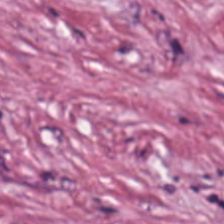Stain: H&E-stained tissue section.
Tile size: 224×224 px patch.
Tissue: tumor-associated stroma.
